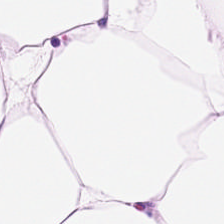H&E stain — This field is adipocytes.
